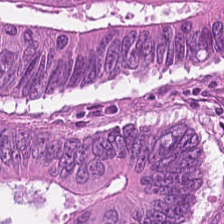H&E.
The tissue here is tumor epithelium.
